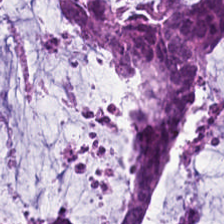Hematoxylin-and-eosin stained section. WSI patch. Q: What is the predominant tissue type?
A: Mucin.
